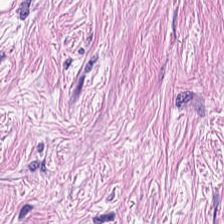Q: What is shown in this field?
A: Cancer-associated stroma.
